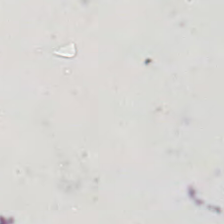Stain: hematoxylin and eosin.
Classification: background (no tissue).
